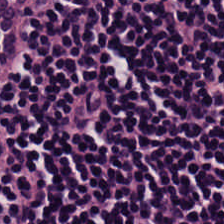H&E — lymphocytic infiltrate.
